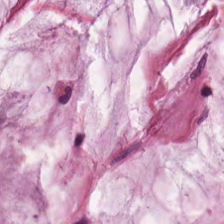224×224 px patch. Hematoxylin and eosin. The tissue type is mucus.
